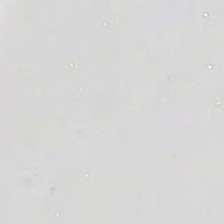Background — no tissue in this field.
